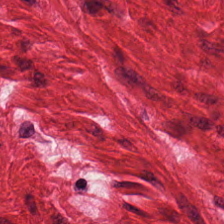Histology — muscularis.
